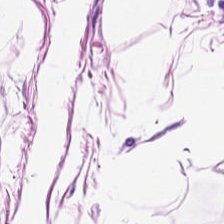FFPE. Hematoxylin-and-eosin stained section.
Q: What tissue is shown?
A: This is adipose.
